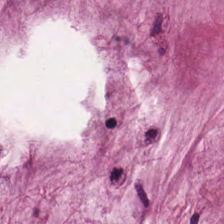Stain: H&E.
Preparation: FFPE tissue section.
Tissue class: extracellular mucin.
